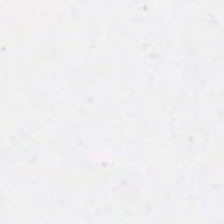FFPE. 224×224 px tile. H&E-stained tissue section — This patch shows background.
